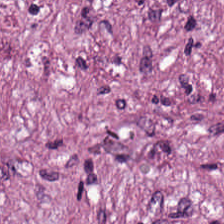H&E. Q: What is shown in this field?
A: The field shows desmoplastic stroma.
